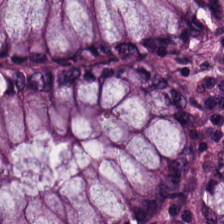H&E — normal colon mucosa.
